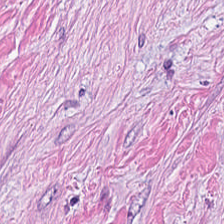WSI patch; 0.5 microns per pixel; H&E stain.
Tissue type — desmoplastic stroma.
